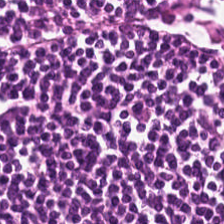Hematoxylin and eosin. The tissue here is lymphocytic infiltrate.
